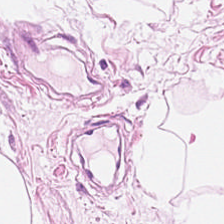H&E-stained tissue section · 224×224 pixel tile — Predominantly fat tissue.
